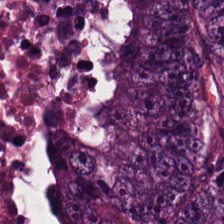{"tissue_type": "malignant epithelium"}
